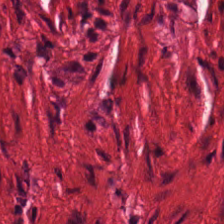WSI patch; 0.5 microns per pixel; H&E stain. The tissue here is smooth muscle.
